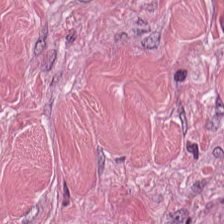Tissue: cancer-associated stroma.
